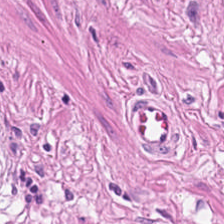Hematoxylin-and-eosin stained section. FFPE tissue section — {"tissue_type": "smooth muscle"}
